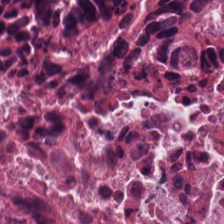H&E stain. The tissue type is cellular debris.
